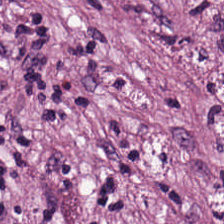Hematoxylin and eosin. Q: What is the predominant tissue type?
A: The field shows tumor-associated stroma.
